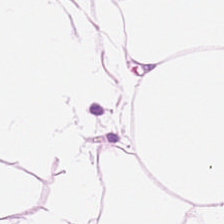Tissue: adipocytes.
